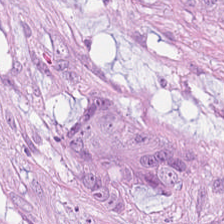Tissue type — tumor epithelium.
